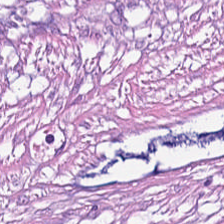224×224 px patch · 0.5 µm per pixel · hematoxylin-and-eosin stained section — The predominant tissue is desmoplastic stroma.
